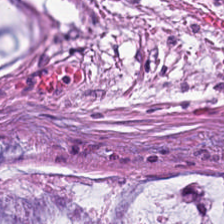This patch shows mucin.
